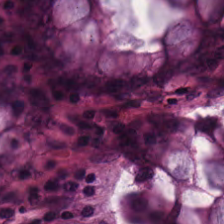H&E stain.
Q: What is shown in this field?
A: It is non-neoplastic colon mucosa.
